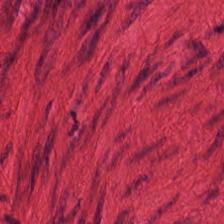Hematoxylin-and-eosin stained section — {"tissue_type": "smooth muscle"}
